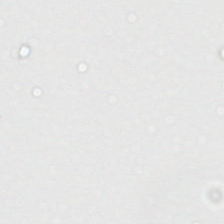This field is background (no tissue).
